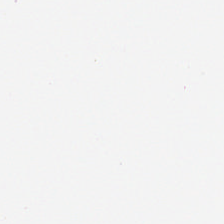Brightfield microscopy. H&E — Q: What is shown in this field?
A: This is no tissue.
